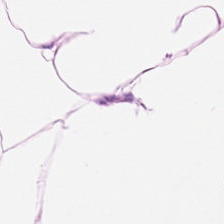H&E stain · brightfield — This field is adipose tissue.
